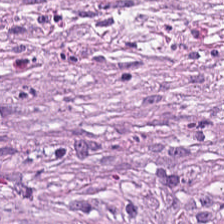Finding → desmoplastic stroma.
